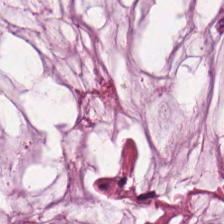0.5 µm per pixel; H&E.
This patch shows mucus.
